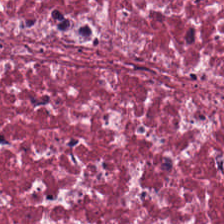Formalin-fixed paraffin-embedded section · hematoxylin and eosin — The predominant tissue is tumor-associated stroma.
